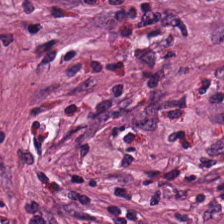H&E-stained tissue section.
This patch shows desmoplastic stroma.
